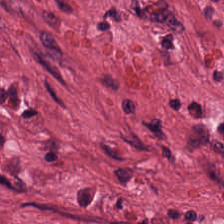Q: What does this patch show?
A: Tumor stroma.
